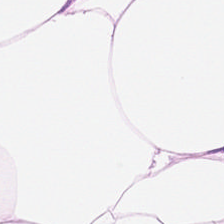Stain: H&E stain.
Predominant tissue: adipocytes.
